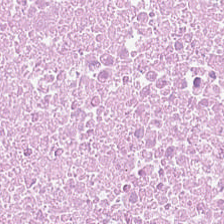Hematoxylin-and-eosin stained section; FFPE. Tissue class — cellular debris.
